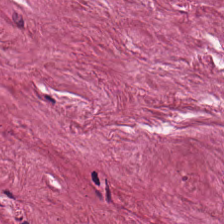This patch shows desmoplastic stroma.
